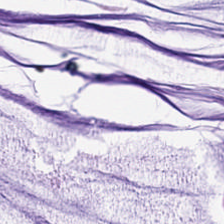Q: What is shown in this field?
A: It is mucus.
